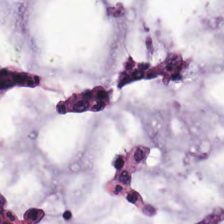Stain: hematoxylin and eosin.
Tile size: 224×224 pixel tile.
Acquisition: brightfield microscopy.
Tissue class: mucus.
